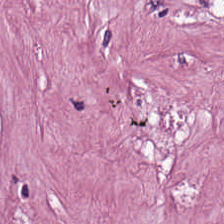Hematoxylin and eosin. 0.5 µm per pixel. 224×224 pixel tile.
Q: What does this patch show?
A: It is cancer-associated stroma.
